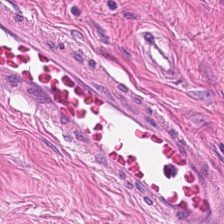H&E; brightfield — This patch shows smooth muscle.
